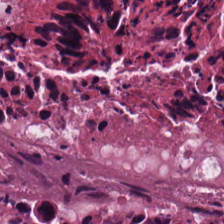H&E.
Cellular debris.
